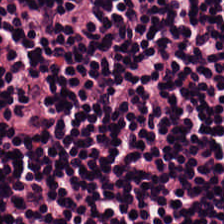Hematoxylin and eosin. The predominant tissue is lymphocyte aggregate.
